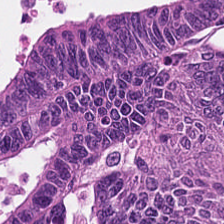Stain: hematoxylin-and-eosin stained section.
Acquisition: brightfield.
Predominant tissue: tumor epithelium.
